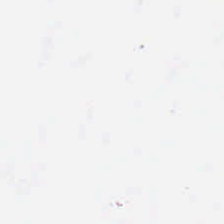Hematoxylin and eosin · 224×224 px patch — This patch shows no tissue.
